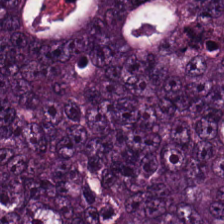Histology → colorectal adenocarcinoma epithelium.
